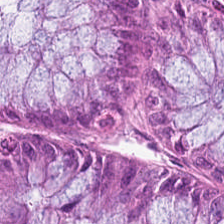H&E; 0.5 µm per pixel. Showing normal colon mucosa.
